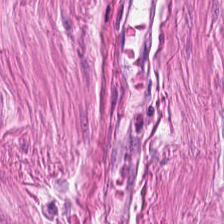Hematoxylin and eosin. Q: What is the predominant tissue type?
A: The field shows muscularis.
